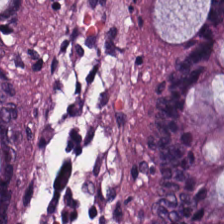This field is non-neoplastic colon mucosa.
